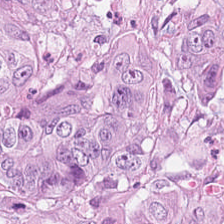Tissue: adenocarcinoma.
